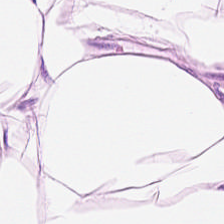Stain: H&E.
Tissue: adipose tissue.
